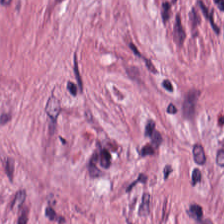Hematoxylin-and-eosin section: tumor stroma.
